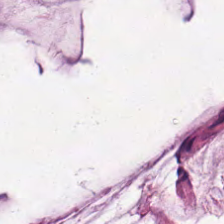Hematoxylin-and-eosin stained section · 224×224 pixel tile — The classification is extracellular mucin.
